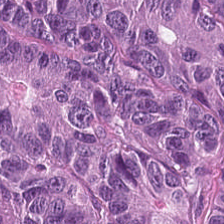Hematoxylin and eosin.
Q: What tissue is shown?
A: It is colorectal adenocarcinoma epithelium.
